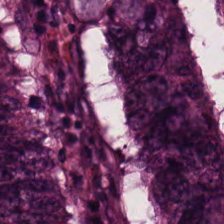Formalin-fixed paraffin-embedded section · H&E-stained tissue section.
Tumor epithelium.
